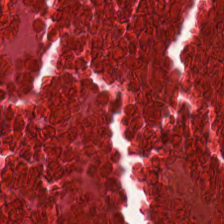The tissue here is cellular debris.
